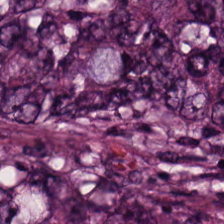H&E stain · 0.5 µm per pixel — Q: Identify the tissue.
A: The field shows adenocarcinoma.
